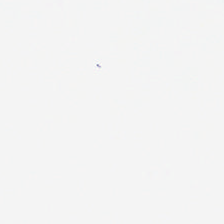H&E; WSI patch — This patch shows empty background.
